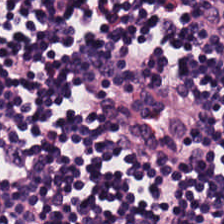Whole-slide-image patch. H&E stain.
Tissue — lymphoid infiltrate.
